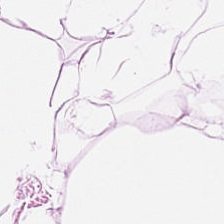Hematoxylin-and-eosin stained section. FFPE tissue section — Histology — adipose.
